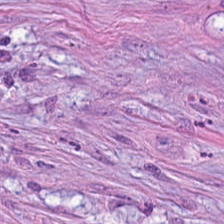Tissue: tumor stroma.
